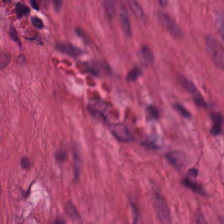Formalin-fixed paraffin-embedded section. Hematoxylin-and-eosin stained section.
This field is smooth-muscle tissue.
